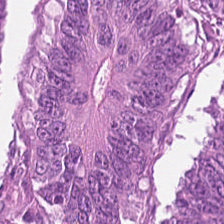Stain: hematoxylin-and-eosin stained section.
Acquisition: brightfield.
Tile size: 224×224 px tile.
Predominant tissue: adenocarcinoma.
